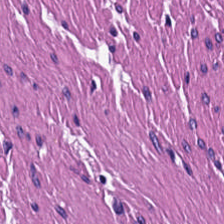H&E stain. Finding — smooth muscle.
